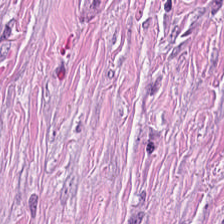224×224 px patch; hematoxylin-and-eosin stained section.
The predominant tissue is desmoplastic stroma.
